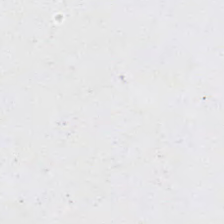Stain: H&E-stained tissue section.
Acquisition: brightfield microscopy.
Content: background (no tissue).
